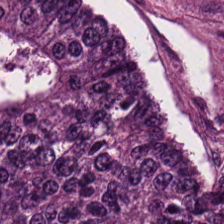H&E.
The tissue type is adenocarcinoma.
